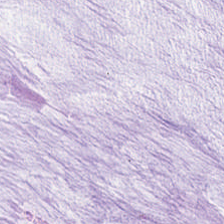Impression — mucus.
